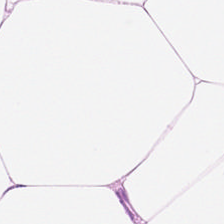Stain: H&E-stained tissue section.
Preparation: formalin-fixed paraffin-embedded section.
Tile size: 224×224 pixel tile.
Tissue class: fat tissue.
